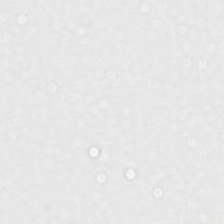Brightfield. Hematoxylin and eosin. Histology — no tissue.
